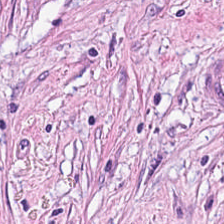H&E — The tissue type is cancer-associated stroma.
